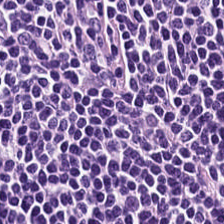H&E stain.
Classification = lymphocyte aggregate.
